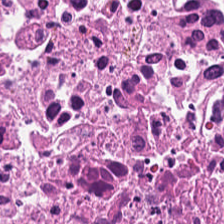H&E stain. The predominant tissue is debris.
